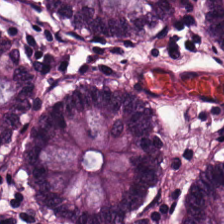224×224 pixel tile. H&E-stained tissue section. {"tissue_type": "normal colon mucosa"}
